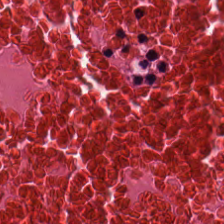Brightfield microscopy; H&E stain. Q: What is shown here?
A: The field shows debris.
